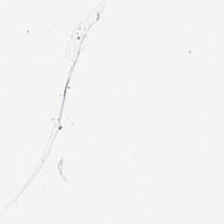This patch shows empty background.
